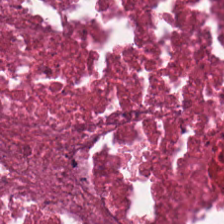Formalin-fixed paraffin-embedded section; H&E. Predominant tissue = necrotic debris.
